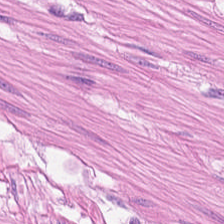Stain: hematoxylin and eosin.
Tissue type: muscularis.
